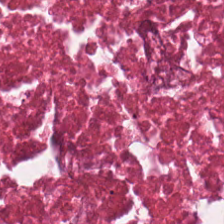Hematoxylin and eosin · 0.5 microns per pixel. The predominant tissue is debris.
